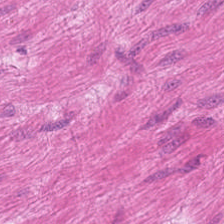The tissue class is muscularis.
